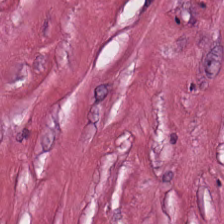H&E-stained tissue section. Showing cancer-associated stroma.
